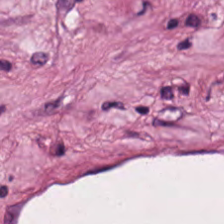Hematoxylin-and-eosin stained section — This field is desmoplastic stroma.
